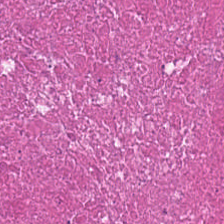H&E stain. The tissue here is cellular debris.
